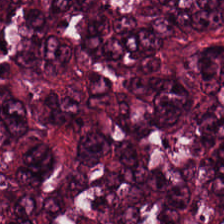Q: What does this patch show?
A: It is malignant epithelium.
